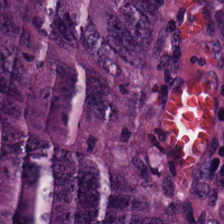Hematoxylin and eosin — Q: Identify the tissue.
A: Malignant epithelium.
